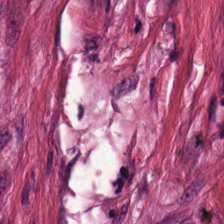Hematoxylin and eosin · 224×224 pixel tile. Q: What is shown in this field?
A: The field shows cancer-associated stroma.
